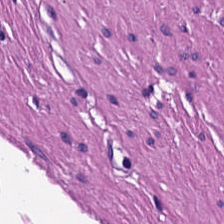Q: What type of tissue is this?
A: This is muscularis.
